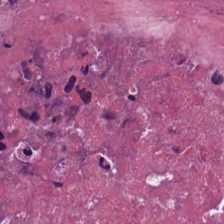H&E stain.
Showing debris.
